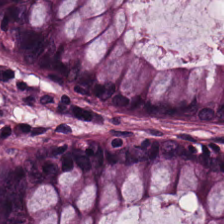FFPE. 0.5 microns per pixel. Hematoxylin-and-eosin stained section.
Showing non-neoplastic colon mucosa.
